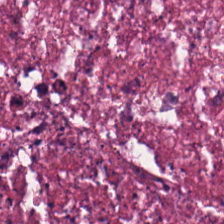H&E.
This field is debris.
